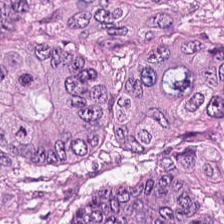0.5 µm per pixel · 224×224 pixel tile · H&E-stained tissue section — Predominantly colorectal adenocarcinoma epithelium.
